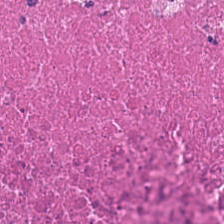Hematoxylin-and-eosin stained section — Predominantly cellular debris.
